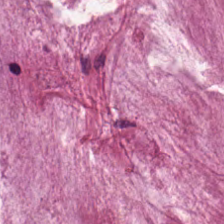Stain: H&E-stained tissue section.
Preparation: FFPE.
Resolution: 0.5 µm per pixel.
Classification: mucus.
